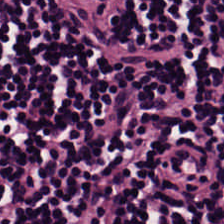Stain: hematoxylin-and-eosin stained section.
Classification: lymphocytic infiltrate.
